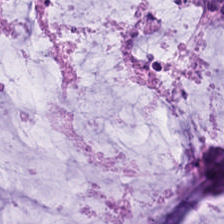Hematoxylin-and-eosin stained section. 0.5 µm/px.
This patch shows mucus.
